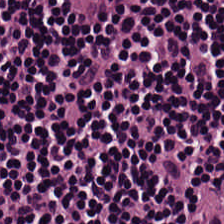Hematoxylin and eosin. Lymphoid infiltrate.
